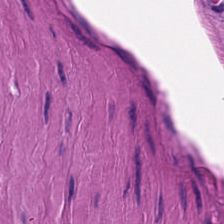H&E-stained tissue section · 224×224 px patch — This field is muscularis.
